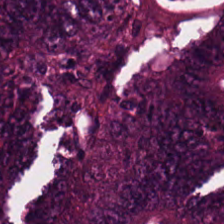Hematoxylin and eosin; whole-slide-image patch.
Histology — adenocarcinoma.
